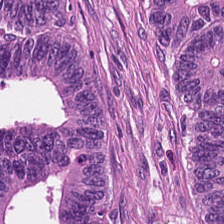H&E-stained tissue section.
The tissue here is colorectal adenocarcinoma epithelium.
